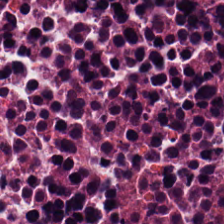Stain: H&E-stained tissue section.
Tissue class: cellular debris.
